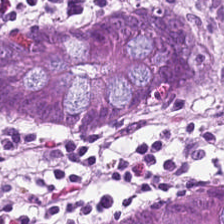H&E-stained tissue section — Impression — normal colonic mucosa.
